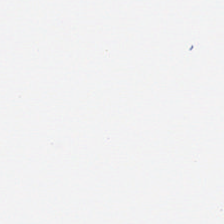Hematoxylin-and-eosin stained section.
Empty field — background.
